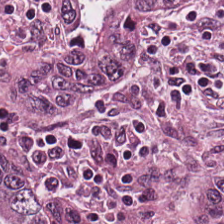{"tissue_type": "adenocarcinoma"}
